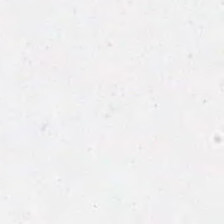The field content is background (no tissue).
